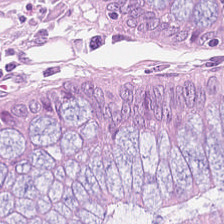Predominant tissue — non-neoplastic colon mucosa.
